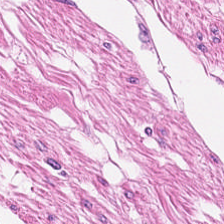Stain: H&E stain.
Classification: smooth muscle.
